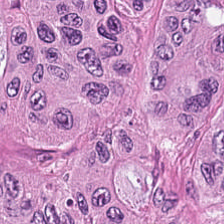Hematoxylin and eosin. Showing colorectal adenocarcinoma epithelium.
